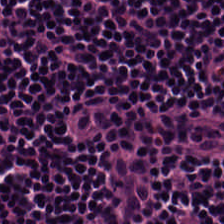WSI patch; 20× equivalent magnification; H&E-stained tissue section — Q: What tissue type is shown here?
A: This is lymphocyte aggregate.
